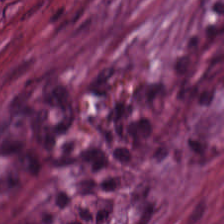Classification — tumor-associated stroma.
